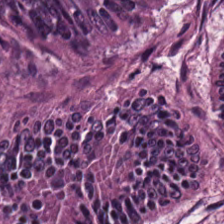H&E. Q: What tissue type is shown here?
A: The field shows colorectal adenocarcinoma epithelium.
